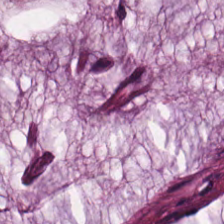H&E-stained tissue section — This patch shows extracellular mucin.
